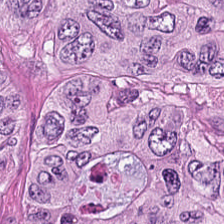0.5 µm per pixel · hematoxylin and eosin. Finding → colorectal adenocarcinoma.
